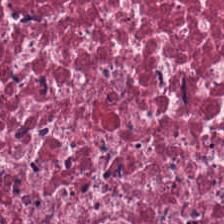Hematoxylin and eosin · brightfield microscopy — Predominant tissue = tumor stroma.
